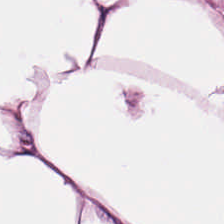H&E-stained tissue section. Predominant tissue: adipocytes.
